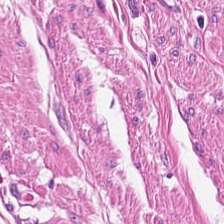Hematoxylin and eosin · 0.5 µm/px — Tissue class = muscularis.
